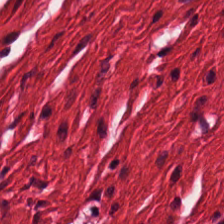Hematoxylin-and-eosin stained section.
Finding → smooth-muscle tissue.
